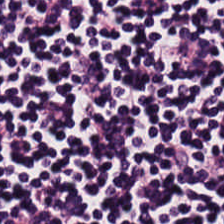The predominant tissue is lymphoid infiltrate.
